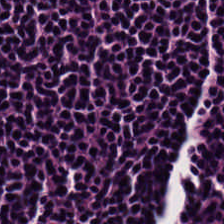WSI patch. H&E stain.
Classification — lymphoid infiltrate.
